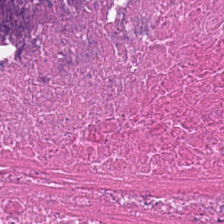Impression → necrotic debris.
